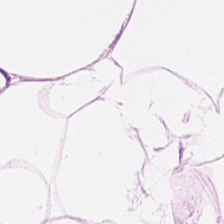H&E — Predominant tissue: adipocytes.
